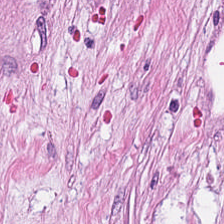H&E-stained tissue section.
The tissue type is cancer-associated stroma.
